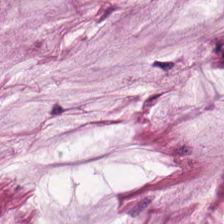H&E stain. Brightfield microscopy.
Predominantly mucus.
